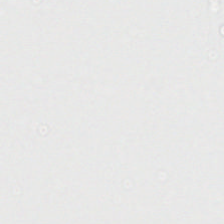Hematoxylin and eosin; whole-slide-image patch; 224×224 px patch — Classification = background (no tissue).
